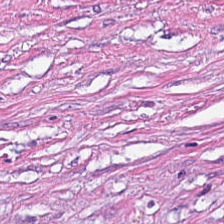FFPE; 224×224 pixel tile; H&E-stained tissue section — Impression — desmoplastic stroma.
